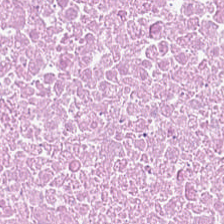H&E-stained tissue section. Showing necrotic debris.
